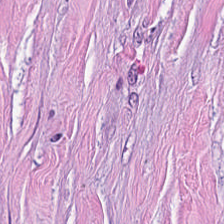FFPE tissue section · hematoxylin and eosin.
This field is tumor-associated stroma.
